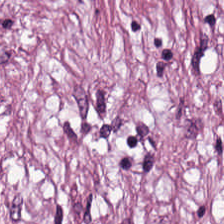Predominantly desmoplastic stroma.
